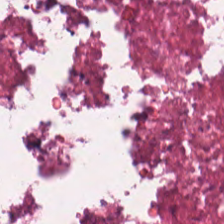{"tissue_type": "necrotic debris"}
